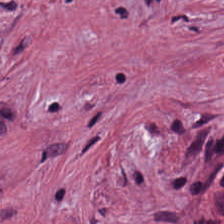0.5 µm per pixel · hematoxylin-and-eosin stained section — Tissue class — desmoplastic stroma.
